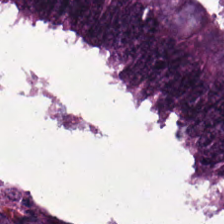FFPE tissue section. Whole-slide-image patch. H&E. The predominant tissue is tumor epithelium.
